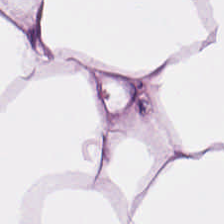H&E stain.
Histology → adipocytes.
